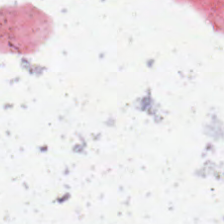H&E. 0.5 microns per pixel. Whole-slide-image patch. Background — no tissue in this field.
